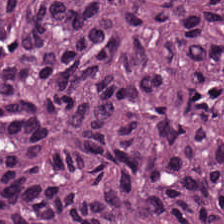FFPE; H&E stain; 224×224 px tile. Malignant epithelium.
